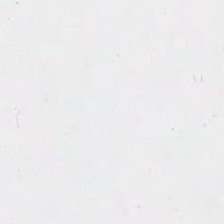Empty field — background.
